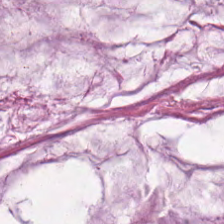FFPE · H&E.
Finding → extracellular mucin.
